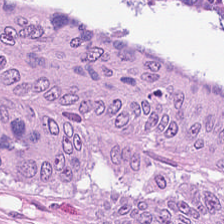H&E-stained tissue section · 224×224 px patch. Predominant tissue — tumor epithelium.
